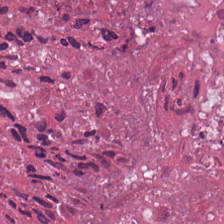The classification is debris.
